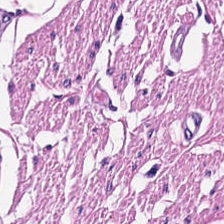Q: Classify this patch.
A: This is muscularis.
